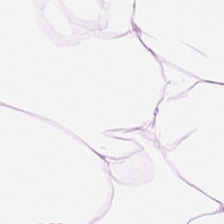Hematoxylin-and-eosin stained section — Classification — adipose.
